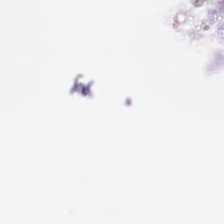Hematoxylin-and-eosin stained section; brightfield. Empty field — background.
